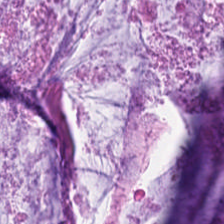0.5 µm/px; hematoxylin and eosin — Predominant tissue: mucin.
